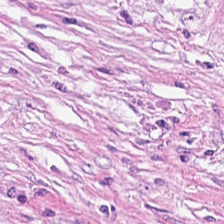H&E stain.
The tissue here is tumor-associated stroma.
